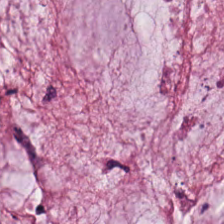Hematoxylin and eosin — Q: What does this patch show?
A: The field shows extracellular mucin.
